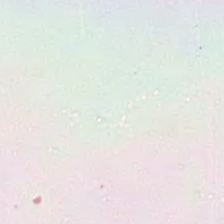Hematoxylin and eosin — Content = no tissue.
